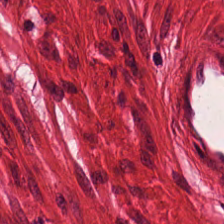H&E patch showing smooth muscle.
